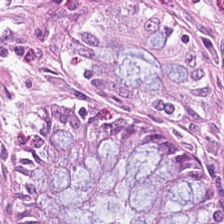H&E.
Impression → normal colonic mucosa.
